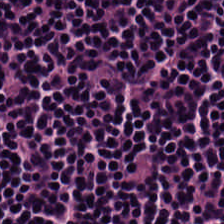H&E-stained tissue section. Classification: lymphoid infiltrate.
